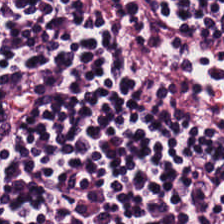Hematoxylin-and-eosin stained section. Predominantly lymphocyte aggregate.
